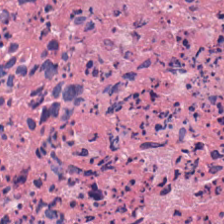224×224 px tile. Hematoxylin and eosin. Whole-slide-image patch — This patch shows debris.
